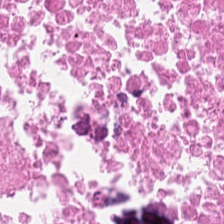Hematoxylin and eosin — Finding → cellular debris.
